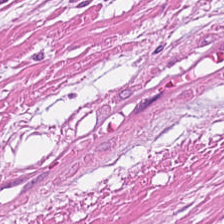Q: What is shown in this field?
A: This is smooth-muscle tissue.
